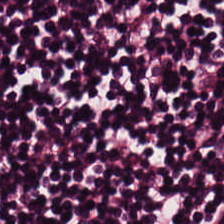Finding → lymphocytes.
